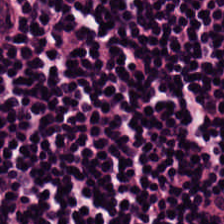H&E-stained tissue section. 224×224 px patch. Formalin-fixed paraffin-embedded section — Tissue type = lymphoid infiltrate.
